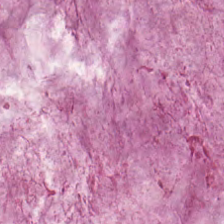The tissue here is mucin.
